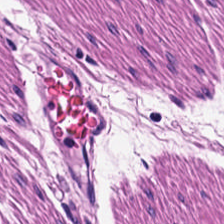Hematoxylin-and-eosin stained section. This patch shows smooth muscle.
